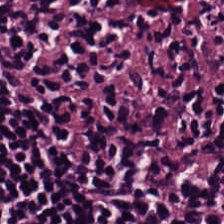224×224 px tile; H&E stain; 0.5 µm per pixel.
The predominant tissue is lymphocytes.
